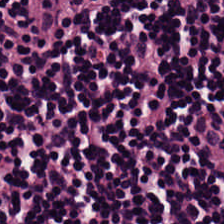Predominantly lymphocytes.
